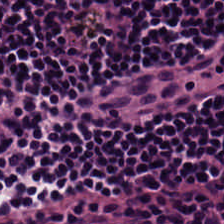Predominantly lymphocytic infiltrate.
